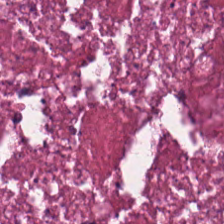H&E-stained tissue section — Classification: necrotic debris.
